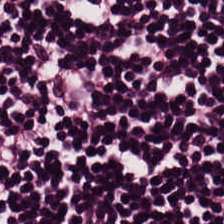FFPE · H&E-stained tissue section · whole-slide-image patch.
Histology — lymphocytes.
